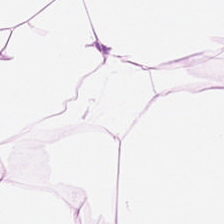H&E-stained tissue section showing adipose.
